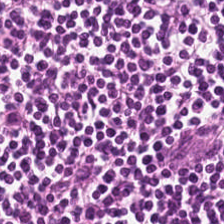H&E.
Q: What is the predominant tissue type?
A: The field shows lymphocytic infiltrate.
